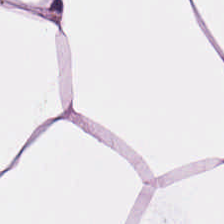H&E stain — Showing fat tissue.
